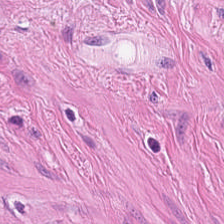224×224 px patch · H&E stain.
Q: What does this patch show?
A: It is smooth-muscle tissue.
